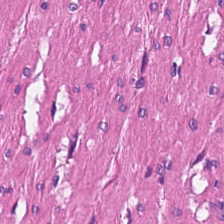0.5 microns per pixel. Hematoxylin and eosin.
Showing muscularis.
